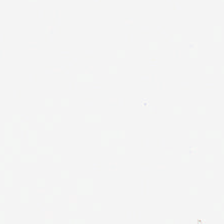Stain: H&E-stained tissue section.
Classification: background.
